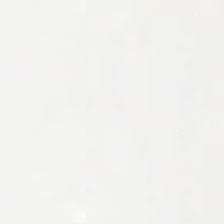Hematoxylin-and-eosin stained section. 0.5 microns per pixel. Whole-slide-image patch. Finding → no tissue.
